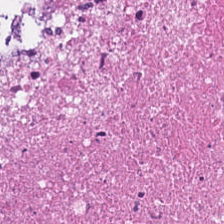H&E · 0.5 µm/px.
The tissue class is necrotic debris.
